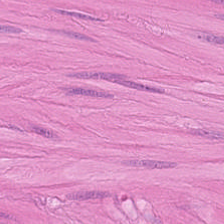H&E-stained tissue section · 0.5 µm/px. The predominant tissue is smooth muscle.
